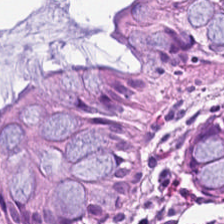Finding — benign colonic mucosa.
